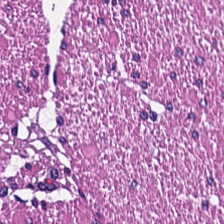20× equivalent magnification · H&E-stained tissue section · 224×224 pixel tile.
Q: What tissue type is shown here?
A: Muscularis.
